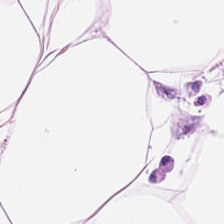Adipocytes.
